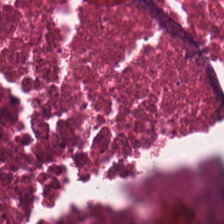Q: Identify the tissue.
A: The field shows debris.
